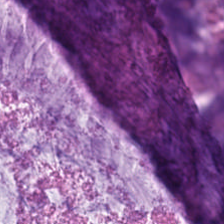Impression — mucin.
